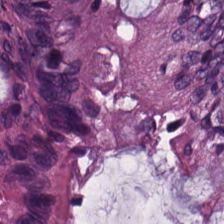WSI patch · H&E-stained tissue section.
This field is non-neoplastic colon mucosa.
